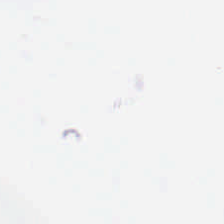H&E; formalin-fixed paraffin-embedded section; brightfield microscopy. Finding — empty background.
